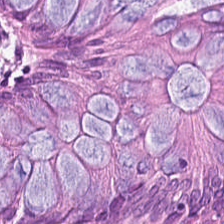224×224 px tile · WSI patch · hematoxylin-and-eosin stained section — Tissue class = normal colon mucosa.
